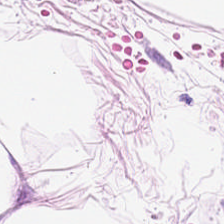224×224 px tile · H&E stain — Predominant tissue: adipose.
